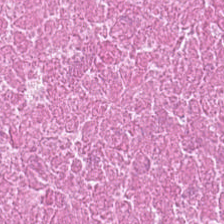Hematoxylin-and-eosin section: cellular debris.
